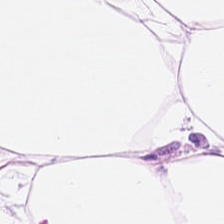H&E stain.
This patch shows adipose.
